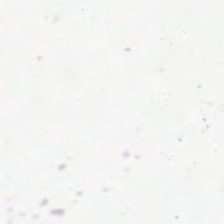H&E. 224×224 px patch. Q: Classify this patch.
A: It is empty background.
